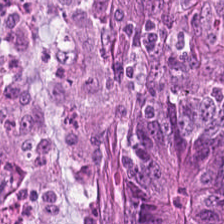{"tissue_type": "adenocarcinoma"}
